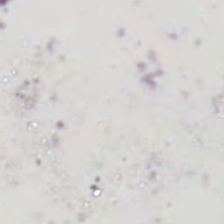Q: What is shown here?
A: It is no tissue.
